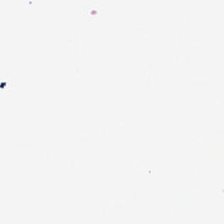0.5 microns per pixel; hematoxylin-and-eosin stained section; whole-slide-image patch.
Q: What is shown in this field?
A: The field shows background.
